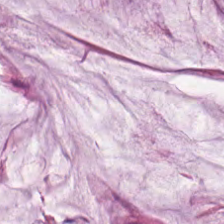Stain: H&E stain.
Classification: mucin.
